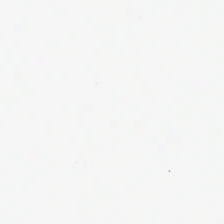H&E.
Q: What does this patch show?
A: Empty background.
